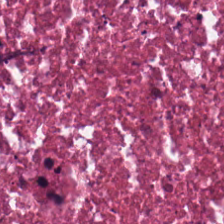Showing debris.
